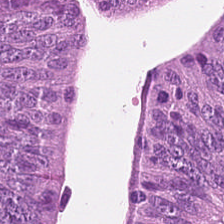WSI patch; H&E-stained tissue section — Predominant tissue = adenocarcinoma.
